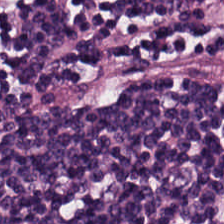20× equivalent magnification; hematoxylin and eosin; FFPE. Showing lymphoid infiltrate.
